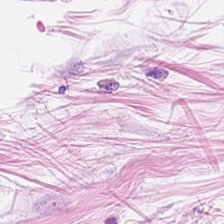Hematoxylin-and-eosin stained section.
Predominant tissue = adipocytes.
